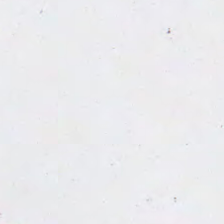H&E-stained tissue section — This field is background (no tissue).
